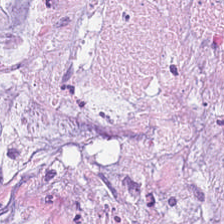Stain: hematoxylin-and-eosin stained section.
Classification: extracellular mucin.
